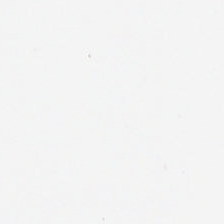Background.
